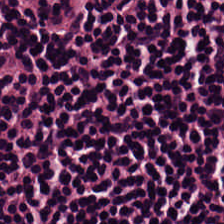Hematoxylin and eosin — Histology — lymphocytes.
